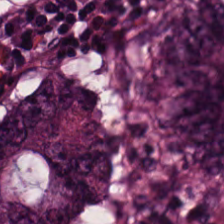The tissue type is adenocarcinoma.
